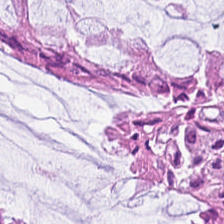Brightfield microscopy · 224×224 pixel tile · hematoxylin-and-eosin stained section.
The tissue class is benign colonic mucosa.
